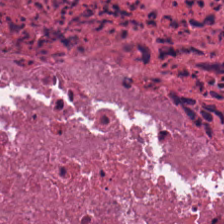H&E-stained tissue section.
The predominant tissue is cellular debris.
